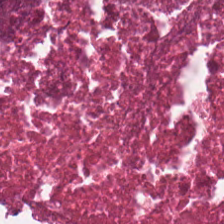H&E. 0.5 µm/px — This field is cellular debris.
